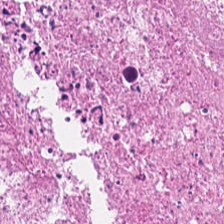Hematoxylin-and-eosin stained section. This field is necrotic debris.
